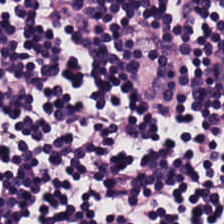H&E stain.
Showing lymphocyte aggregate.
